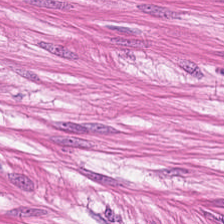Stain: hematoxylin and eosin.
Predominant tissue: smooth muscle.
